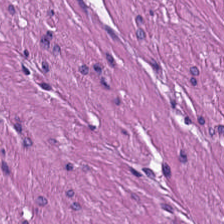H&E-stained section; the field shows smooth muscle.
